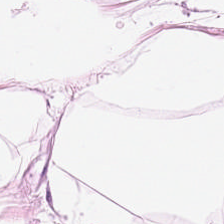Formalin-fixed paraffin-embedded section · H&E stain — Q: What is shown here?
A: The field shows adipose.
